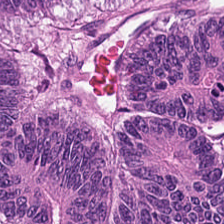H&E-stained tissue section. FFPE tissue section — The tissue here is adenocarcinoma.
